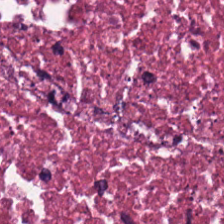Stain: H&E.
Tissue class: necrotic debris.
